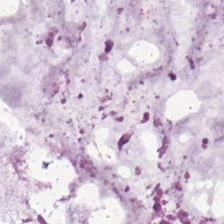Histology — mucus.
